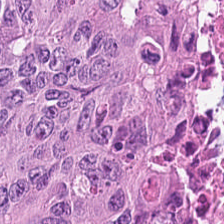Hematoxylin-and-eosin stained section.
Q: What type of tissue is this?
A: The field shows tumor epithelium.
